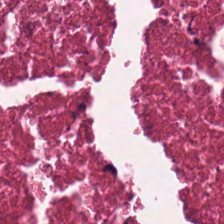Stain: hematoxylin-and-eosin stained section.
Tissue class: necrotic debris.
